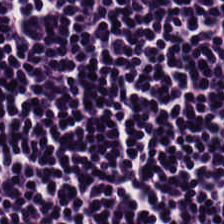FFPE; hematoxylin-and-eosin stained section — Q: What type of tissue is this?
A: Lymphocytes.
